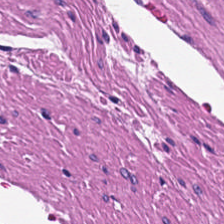Q: What is shown in this field?
A: This is smooth muscle.
